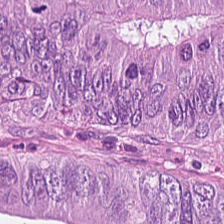H&E-stained tissue section — The tissue here is adenocarcinoma.
